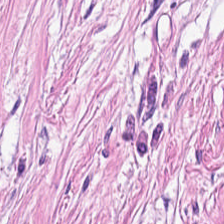H&E. Brightfield. 224×224 px patch.
Tissue type = desmoplastic stroma.
